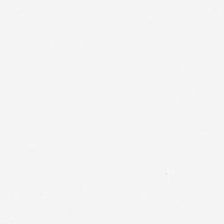Hematoxylin and eosin.
Q: Classify this patch.
A: The field shows background.
